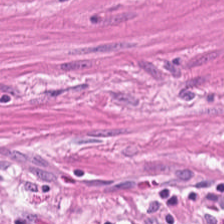Hematoxylin and eosin.
Tissue type = smooth-muscle tissue.
